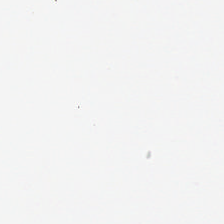FFPE tissue section · H&E stain — Field content = background (no tissue).
